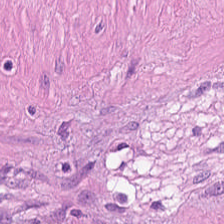Finding — smooth muscle.
